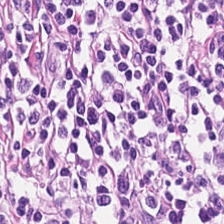Hematoxylin and eosin. 224×224 px tile. Q: What is shown here?
A: Lymphocyte aggregate.
